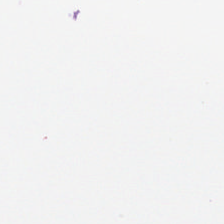Hematoxylin and eosin. Background.
